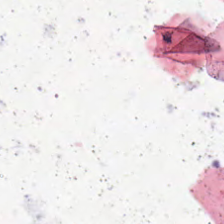H&E stain. 0.5 µm/px — Classification: no tissue.
